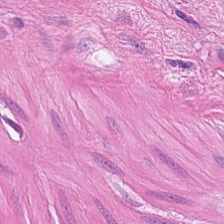20× equivalent magnification · H&E stain. Classification = smooth muscle.
